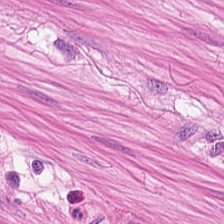Stain: H&E.
Preparation: FFPE tissue section.
Resolution: 0.5 µm per pixel.
Predominant tissue: muscularis.
